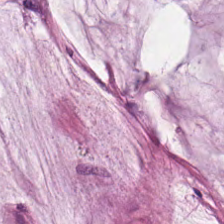Stain: H&E.
Classification: mucus.
